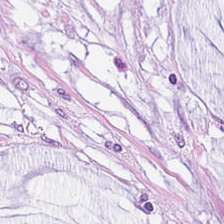Stain: hematoxylin-and-eosin stained section.
Tile size: 224×224 px patch.
Tissue: extracellular mucin.
